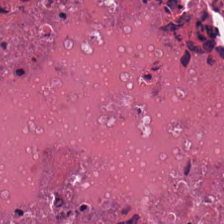0.5 microns per pixel. H&E-stained tissue section — Tissue class — necrotic debris.
